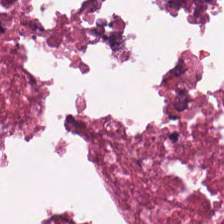FFPE · hematoxylin and eosin · 224×224 px tile.
The predominant tissue is necrotic debris.
